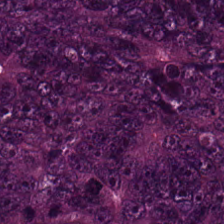FFPE · H&E stain — Tissue = adenocarcinoma.
